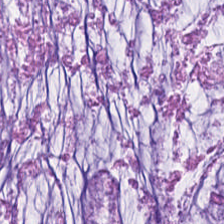Stain: H&E stain.
Predominant tissue: mucus.
